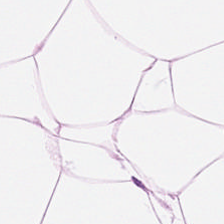Hematoxylin and eosin · whole-slide-image patch. Predominantly fat tissue.
